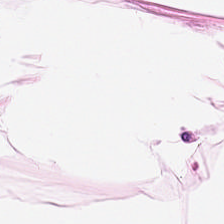Hematoxylin and eosin · FFPE tissue section. This patch shows adipose tissue.
